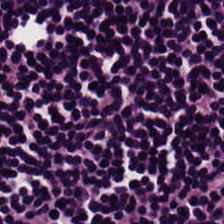Histology → lymphoid infiltrate.
